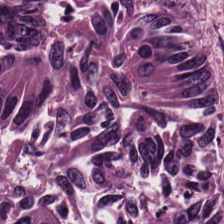Classification: tumor epithelium.
